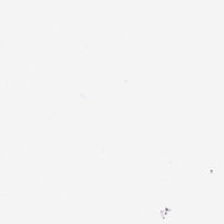H&E-stained tissue section.
The content is background.
